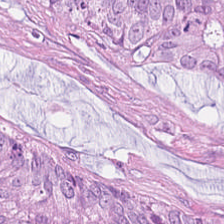Q: What is shown in this field?
A: It is colorectal adenocarcinoma.
